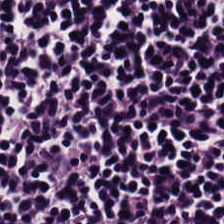H&E · FFPE.
The predominant tissue is lymphoid infiltrate.
